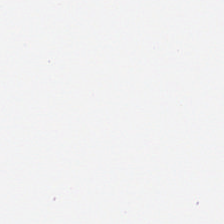FFPE; H&E stain; 0.5 microns per pixel — Content — empty background.
